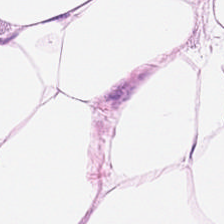H&E-stained tissue section.
This field is adipose.
